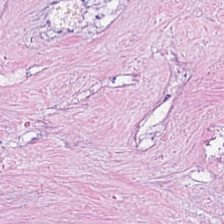Finding — cellular debris.
